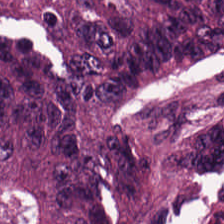Hematoxylin and eosin.
Classification — tumor epithelium.
